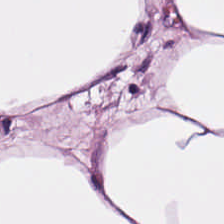224×224 pixel tile; hematoxylin-and-eosin stained section.
Classification — fat tissue.
